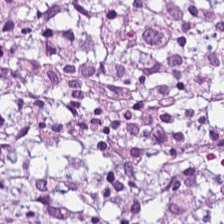FFPE tissue section; H&E-stained tissue section; 224×224 px tile. Impression — tumor-associated stroma.
